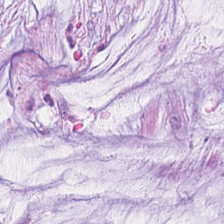Stain: H&E.
Tissue type: extracellular mucin.
